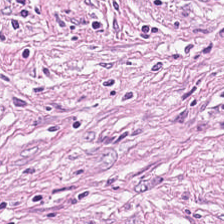Predominant tissue = cancer-associated stroma.
